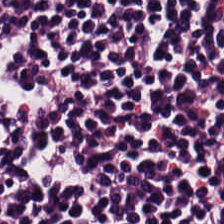H&E — Q: Classify this patch.
A: This is lymphocytic infiltrate.
